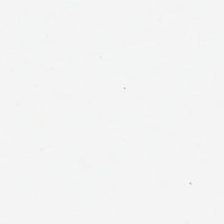H&E-stained tissue section — Histology → empty background.
